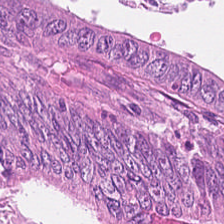Hematoxylin-and-eosin stained section. Q: What is shown in this field?
A: The field shows colorectal adenocarcinoma.
